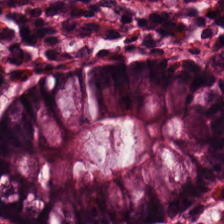Hematoxylin-and-eosin stained section — Classification — non-neoplastic colon mucosa.
